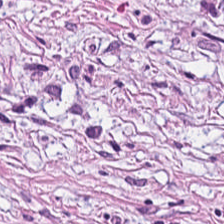Hematoxylin and eosin. 224×224 px tile — The tissue type is tumor-associated stroma.
